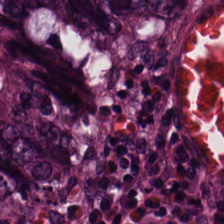Hematoxylin and eosin.
The tissue is malignant epithelium.
